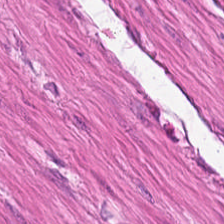H&E stain — Finding — smooth-muscle tissue.
